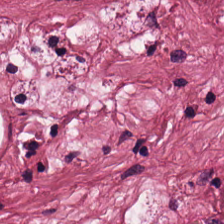Predominant tissue — tumor stroma.
